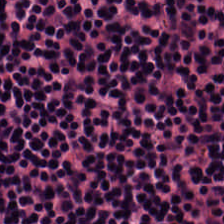Stain: H&E stain.
Resolution: 0.5 microns per pixel.
Tissue type: lymphoid infiltrate.
